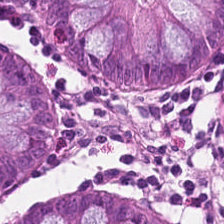H&E-stained tissue section.
Benign colonic mucosa.
